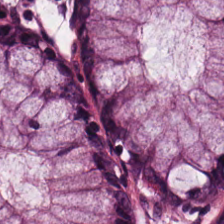H&E-stained tissue section. WSI patch — This field is normal colon mucosa.
